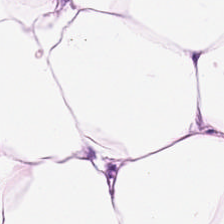Hematoxylin-and-eosin stained section. Tissue type: fat tissue.
